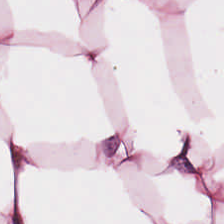224×224 pixel tile; H&E stain — Q: What is shown in this field?
A: This is adipose tissue.
